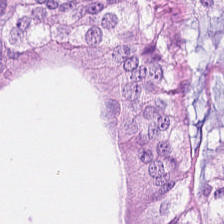224×224 px patch; H&E. Adenocarcinoma.
